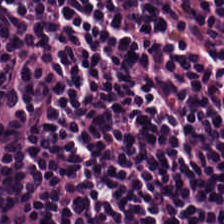Hematoxylin and eosin.
This field is lymphoid infiltrate.
